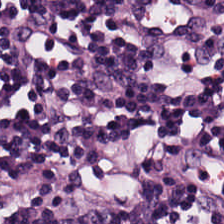H&E stain; formalin-fixed paraffin-embedded section.
Q: What does this patch show?
A: This is lymphocyte aggregate.
